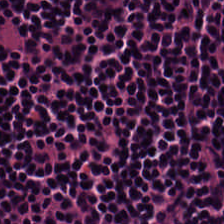Hematoxylin and eosin.
Predominantly lymphocytes.
